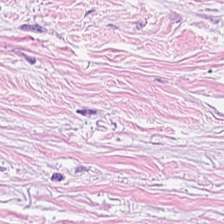0.5 µm/px. H&E stain.
Tissue type: desmoplastic stroma.
